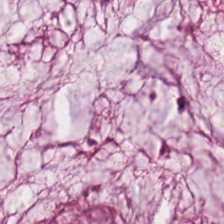Hematoxylin-and-eosin stained section; brightfield microscopy; formalin-fixed paraffin-embedded section.
Q: What type of tissue is this?
A: Extracellular mucin.
